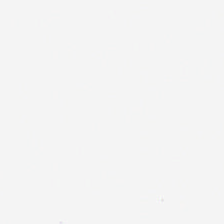Q: Classify this patch.
A: No tissue.
